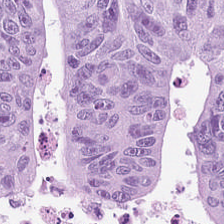Whole-slide-image patch; 224×224 px tile; H&E-stained tissue section. Tissue = adenocarcinoma.
